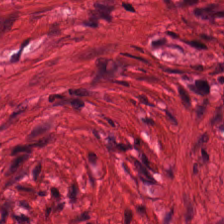Hematoxylin-and-eosin stained section.
Showing smooth-muscle tissue.
